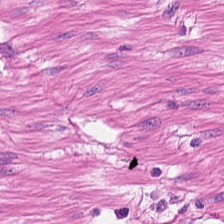H&E; FFPE; brightfield microscopy. Finding → smooth muscle.
